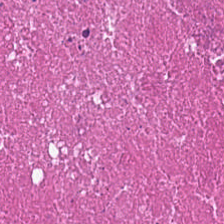Hematoxylin and eosin.
Histology — debris.
